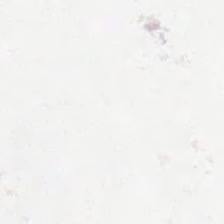H&E-stained tissue section.
Field content — empty background.
